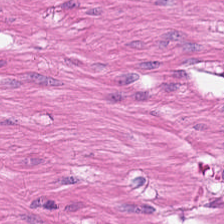Formalin-fixed paraffin-embedded section · hematoxylin-and-eosin stained section.
Smooth-muscle tissue.
